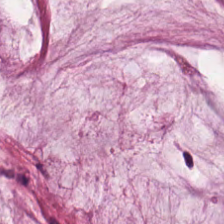Q: What is shown in this field?
A: The field shows mucus.
